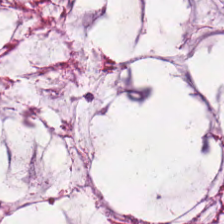H&E stain — Q: What tissue is shown?
A: The field shows mucus.
